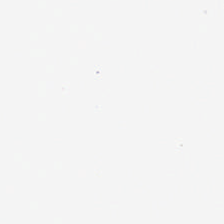Stain: H&E-stained tissue section.
Classification: no tissue.
